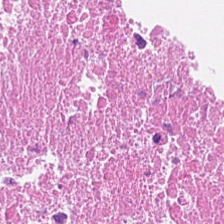Stain: H&E stain.
Tissue: cellular debris.
